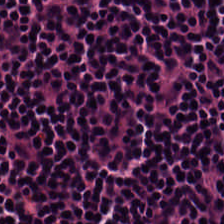H&E. Q: What is shown in this field?
A: The field shows lymphoid infiltrate.
